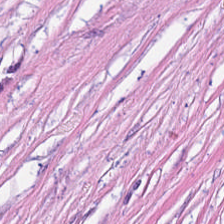The tissue here is tumor-associated stroma.
